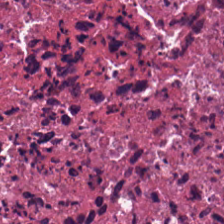Hematoxylin-and-eosin section: debris.
